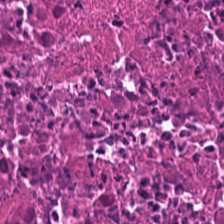H&E-stained tissue section. This field is necrotic debris.
